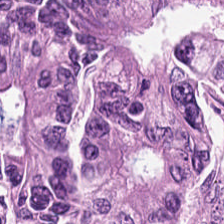The tissue here is malignant epithelium.
